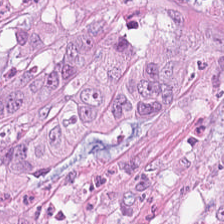Stain: H&E.
Predominant tissue: colorectal adenocarcinoma epithelium.
